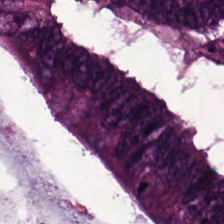Q: What does this patch show?
A: Adenocarcinoma.
